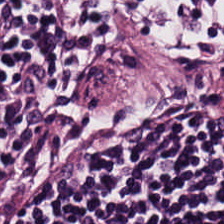0.5 µm/px · formalin-fixed paraffin-embedded section · hematoxylin and eosin — Impression — lymphoid infiltrate.
